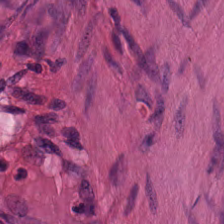H&E-stained tissue section. Q: What tissue is shown?
A: It is muscularis.
